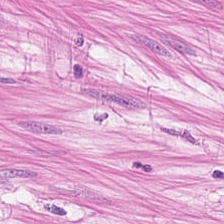Hematoxylin-and-eosin stained section — {"tissue_type": "smooth muscle"}
